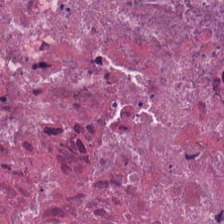Brightfield microscopy. H&E.
Showing cellular debris.
